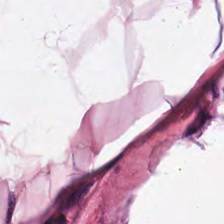H&E.
Showing adipocytes.
